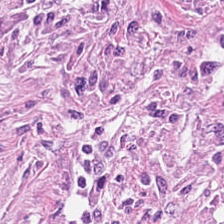FFPE tissue section; 0.5 microns per pixel; H&E-stained tissue section.
{"tissue_type": "tumor stroma"}
